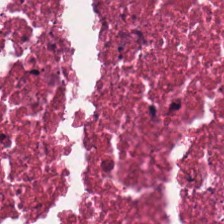Hematoxylin and eosin. Tissue — debris.
